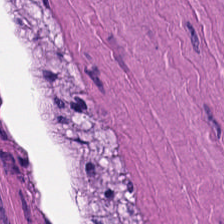224×224 px patch · 0.5 µm per pixel · H&E-stained tissue section — The tissue is smooth-muscle tissue.
